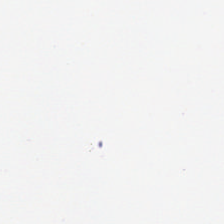H&E — Background — no tissue in this field.
